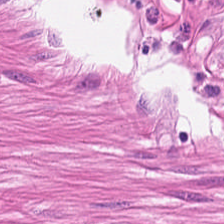Finding — muscularis.
